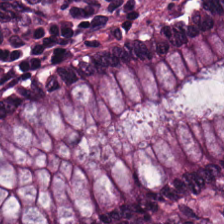H&E-stained tissue section — Histology — normal colon mucosa.
